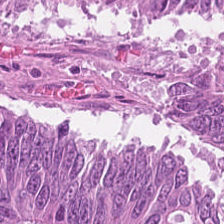Formalin-fixed paraffin-embedded section; 224×224 px tile; H&E-stained tissue section — Predominant tissue — colorectal adenocarcinoma.
